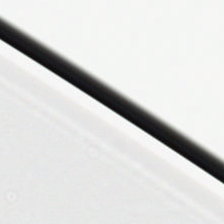224×224 pixel tile · hematoxylin and eosin.
Q: What does this patch show?
A: Empty background.
